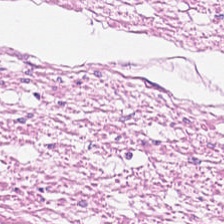Predominantly smooth muscle.
